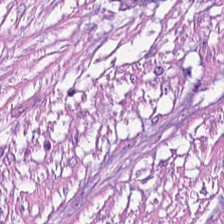H&E-stained tissue section; 224×224 px patch — Q: What tissue is shown?
A: Cancer-associated stroma.
